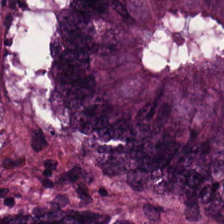FFPE. Hematoxylin-and-eosin stained section. 224×224 pixel tile. Showing tumor epithelium.
